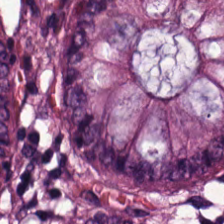20× equivalent magnification · hematoxylin and eosin — Predominantly benign colonic mucosa.
